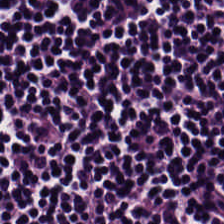H&E stain — Q: What is the predominant tissue type?
A: The field shows lymphocyte aggregate.
